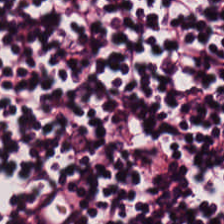H&E stain · FFPE tissue section. Q: What tissue is shown?
A: The field shows lymphoid infiltrate.
